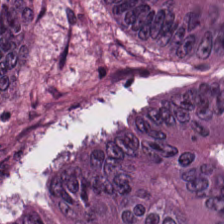The predominant tissue is colorectal adenocarcinoma epithelium.
